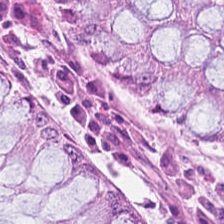Formalin-fixed paraffin-embedded section · H&E stain — Tissue — benign colonic mucosa.
